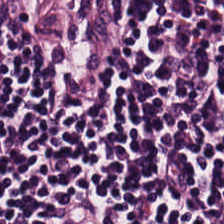0.5 µm/px. H&E. FFPE — Impression — lymphocytes.
